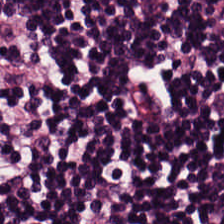224×224 px patch. H&E-stained tissue section — Histology → lymphocytic infiltrate.
